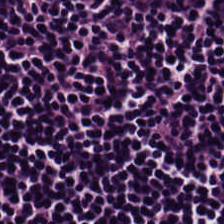20× equivalent magnification. FFPE tissue section. H&E.
This field is lymphocyte aggregate.
